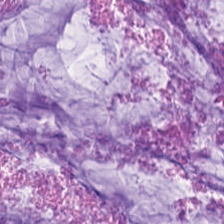H&E stain.
This field is mucus.
